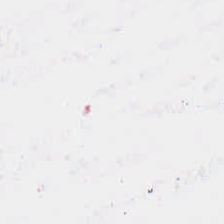Stain: hematoxylin-and-eosin stained section.
Resolution: 0.5 µm/px.
Field content: no tissue.
